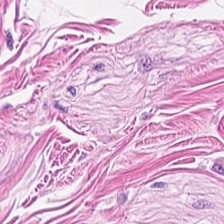Hematoxylin and eosin — The tissue class is muscularis.
